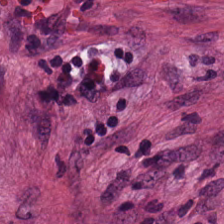The tissue here is cancer-associated stroma.
